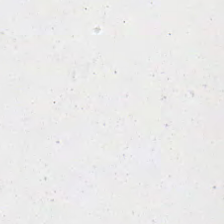Stain: H&E-stained tissue section.
Tile size: 224×224 pixel tile.
Content: no tissue.
